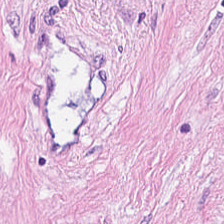Tissue class — tumor stroma.
